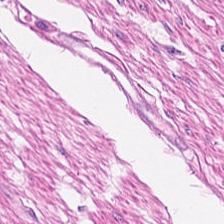Histology → muscularis.
